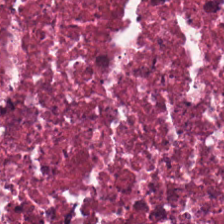0.5 microns per pixel · H&E-stained tissue section. Q: What is shown in this field?
A: It is necrotic debris.
